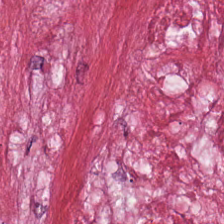Predominantly cancer-associated stroma.
